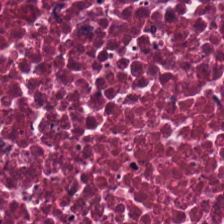Hematoxylin and eosin. 20× equivalent magnification — The tissue here is cellular debris.
